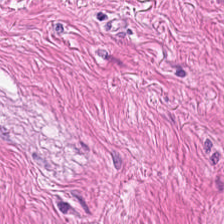H&E-stained section; the field shows smooth-muscle tissue.
